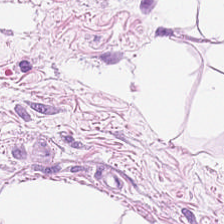224×224 px patch · H&E-stained tissue section — Tissue: adipose tissue.
